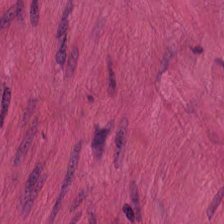FFPE tissue section; H&E; brightfield microscopy. Impression → muscularis.
